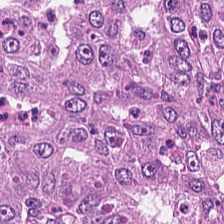H&E stain; 0.5 µm/px.
Predominantly adenocarcinoma.
